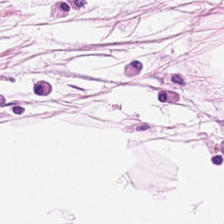Tissue type = adipocytes.
